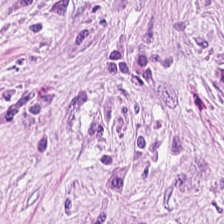H&E.
Q: What does this patch show?
A: The field shows tumor stroma.
